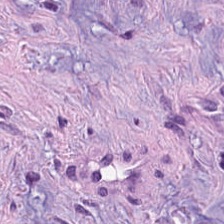Hematoxylin-and-eosin stained section.
Q: Classify this patch.
A: It is cancer-associated stroma.
